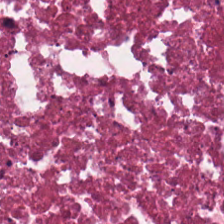Hematoxylin-and-eosin stained section · formalin-fixed paraffin-embedded section. {"tissue_type": "necrotic debris"}
